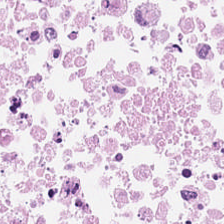20× equivalent magnification; brightfield; hematoxylin-and-eosin stained section.
Q: Classify this patch.
A: It is cellular debris.
